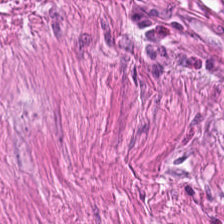FFPE. H&E stain. 20× equivalent magnification. Predominantly smooth-muscle tissue.
